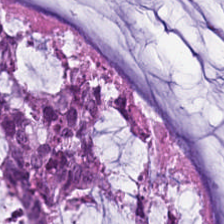H&E-stained tissue section — Histology → extracellular mucin.
